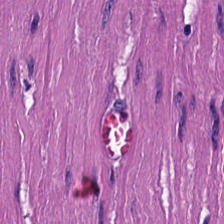Hematoxylin-and-eosin stained section. FFPE.
Predominantly smooth-muscle tissue.
